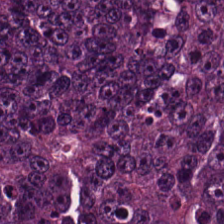20× equivalent magnification; hematoxylin and eosin. Tissue type = adenocarcinoma.
